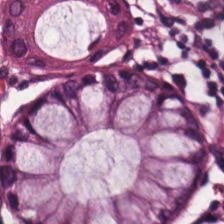H&E-stained tissue section — This patch shows normal colonic mucosa.
